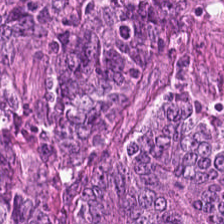Hematoxylin-and-eosin stained section. The tissue here is tumor epithelium.
